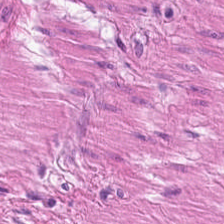Hematoxylin-and-eosin stained section · whole-slide-image patch.
Histology — muscularis.
